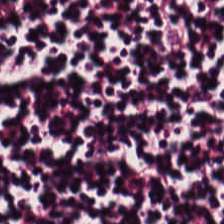224×224 px patch. Hematoxylin-and-eosin stained section. Formalin-fixed paraffin-embedded section.
Q: What tissue type is shown here?
A: Lymphocytic infiltrate.
